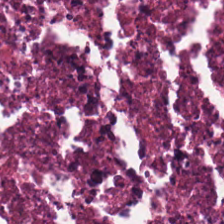Brightfield microscopy. 0.5 µm per pixel. Hematoxylin-and-eosin stained section — Predominantly debris.
